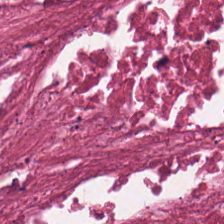224×224 pixel tile. H&E.
Predominant tissue: cellular debris.
